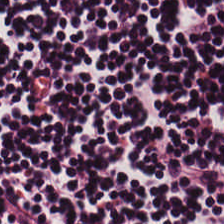Hematoxylin and eosin. Q: What type of tissue is this?
A: It is lymphocytes.
